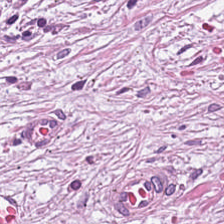Q: What is the predominant tissue type?
A: This is desmoplastic stroma.
